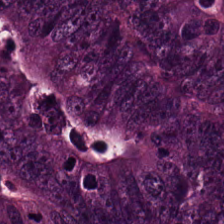Q: What tissue is shown?
A: It is tumor epithelium.
